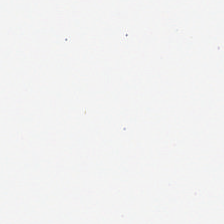H&E stain — The field content is no tissue.
